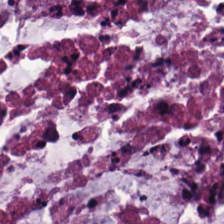Q: What type of tissue is this?
A: It is mucus.
